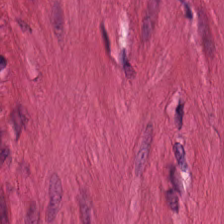Classification — muscularis.
